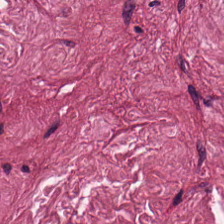Hematoxylin and eosin — Tissue class: desmoplastic stroma.
